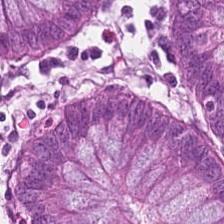H&E stain. The predominant tissue is normal colon mucosa.
